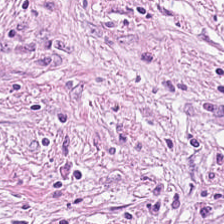Stain: H&E stain.
Preparation: FFPE tissue section.
Tissue: tumor-associated stroma.
